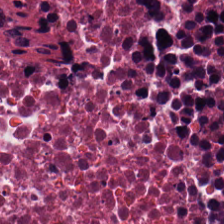Hematoxylin and eosin — This field is necrotic debris.
